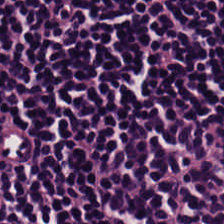H&E-stained tissue section; FFPE.
Predominantly lymphocytic infiltrate.
